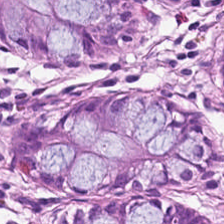0.5 µm per pixel; H&E stain — The tissue is benign colonic mucosa.
